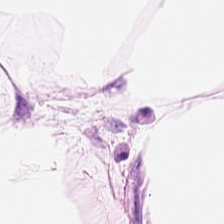Brightfield. H&E stain. FFPE tissue section — Tissue class — adipocytes.
